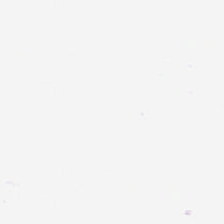0.5 microns per pixel; hematoxylin-and-eosin stained section — The classification is no tissue.
